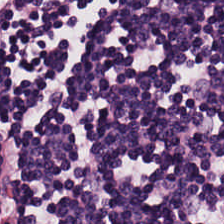H&E — Predominant tissue = lymphoid infiltrate.
